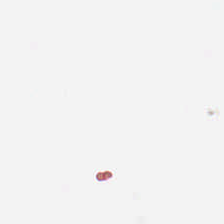No tissue.
